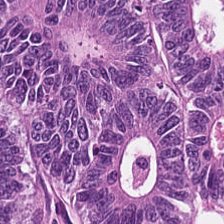H&E stain. Tissue = adenocarcinoma.
